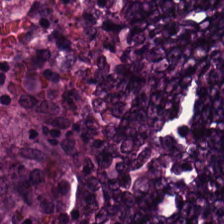Hematoxylin-and-eosin stained section. Finding — colorectal adenocarcinoma.
